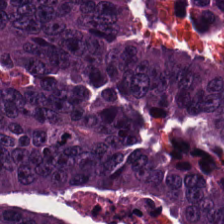Histology → tumor epithelium.
